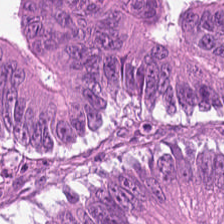H&E stain. Showing tumor epithelium.
